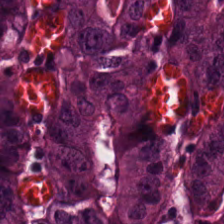Q: What tissue type is shown here?
A: Colorectal adenocarcinoma epithelium.
